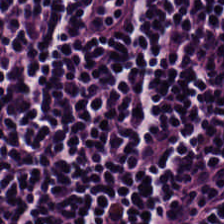Stain: hematoxylin and eosin.
Tissue type: lymphocytes.
